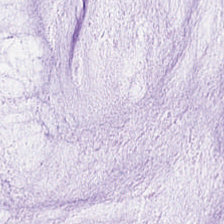Stain: hematoxylin and eosin.
Acquisition: WSI patch.
Predominant tissue: extracellular mucin.
